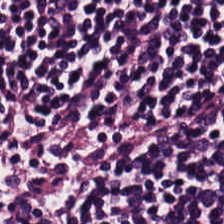{"tissue_type": "lymphocytic infiltrate"}
